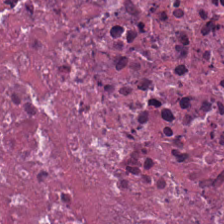Classification = cellular debris.
